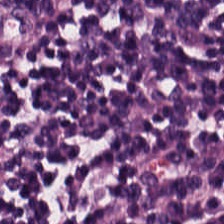Stain: hematoxylin-and-eosin stained section.
Acquisition: whole-slide-image patch.
Tile size: 224×224 px patch.
Classification: lymphoid infiltrate.
